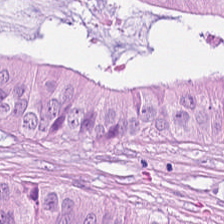Stain: H&E stain.
Tissue: tumor epithelium.
